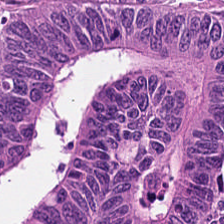Formalin-fixed paraffin-embedded section · whole-slide-image patch · hematoxylin and eosin.
The predominant tissue is malignant epithelium.
